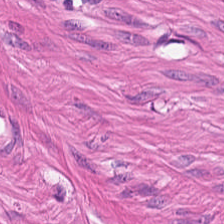0.5 microns per pixel · hematoxylin-and-eosin stained section · FFPE. The tissue here is smooth muscle.
